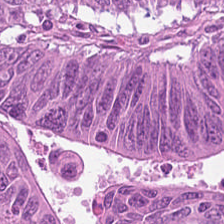Showing colorectal adenocarcinoma epithelium.
